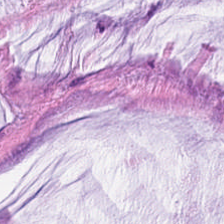Stain: hematoxylin-and-eosin stained section.
Preparation: FFPE tissue section.
Tissue type: extracellular mucin.
